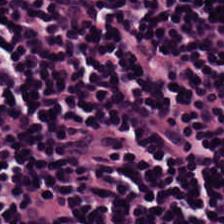Finding — lymphoid infiltrate.
